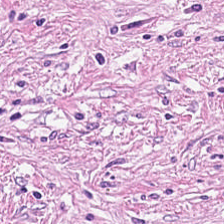Predominantly tumor stroma.
